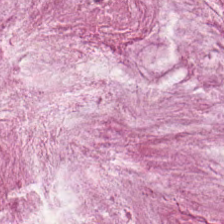Predominantly mucus.
